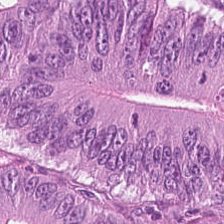Predominant tissue — colorectal adenocarcinoma epithelium.
